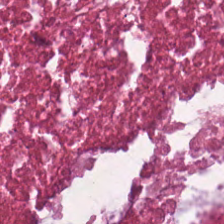The predominant tissue is debris.
